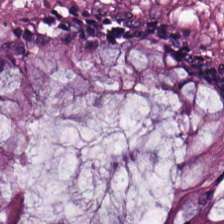Q: What is the predominant tissue type?
A: The field shows benign colonic mucosa.
